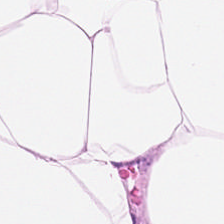H&E. This patch shows adipose tissue.
